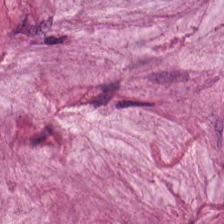H&E. 20× equivalent magnification. Q: What tissue is shown?
A: This is mucus.
